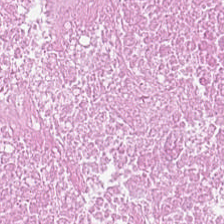Hematoxylin-and-eosin section: debris.
